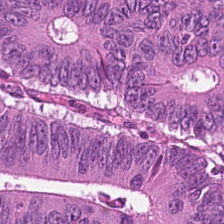FFPE tissue section; hematoxylin-and-eosin stained section. Q: What is the predominant tissue type?
A: Malignant epithelium.
